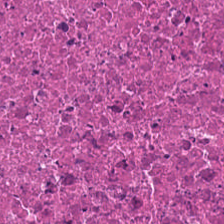Brightfield microscopy · 224×224 px tile · H&E stain. Necrotic debris.
